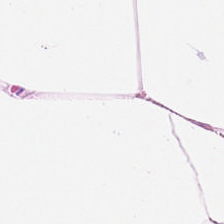224×224 px patch · H&E stain · brightfield. Showing adipose tissue.
